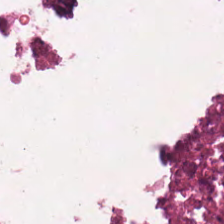Hematoxylin and eosin · 0.5 µm per pixel — The tissue here is debris.
